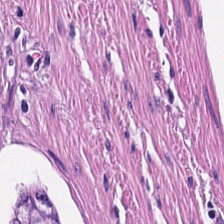Q: What does this patch show?
A: The field shows smooth-muscle tissue.
